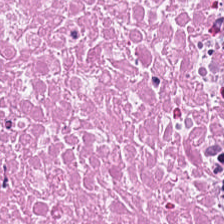Hematoxylin and eosin.
The tissue here is debris.
